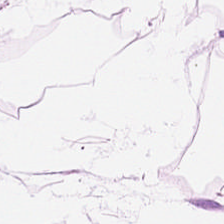Q: Identify the tissue.
A: It is fat tissue.
